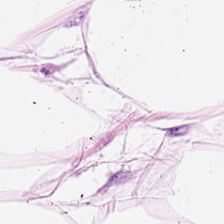224×224 px patch; hematoxylin-and-eosin stained section; formalin-fixed paraffin-embedded section. Q: What type of tissue is this?
A: The field shows adipose.
